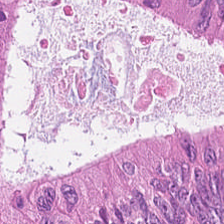Q: What tissue type is shown here?
A: It is colorectal adenocarcinoma epithelium.
